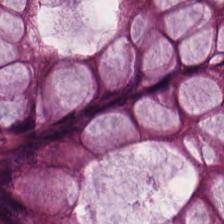Stain: hematoxylin-and-eosin stained section.
Tissue type: normal colon mucosa.
